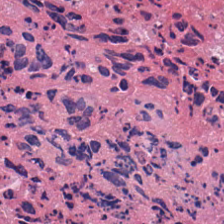H&E stain — Tissue class = debris.
